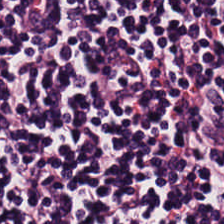Stain: H&E.
Predominant tissue: lymphocytic infiltrate.
